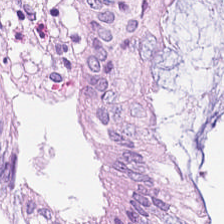WSI patch; hematoxylin-and-eosin stained section — Benign colonic mucosa.
